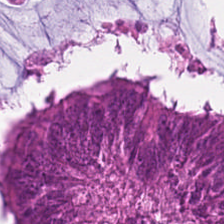Tumor epithelium.
